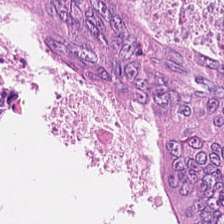Predominant tissue: colorectal adenocarcinoma.
